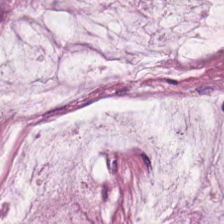Stain: hematoxylin and eosin.
Predominant tissue: extracellular mucin.
